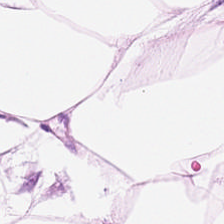H&E stain — {"tissue_type": "adipose tissue"}
